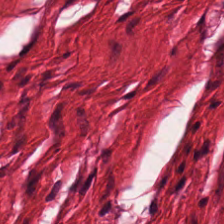Q: What tissue type is shown here?
A: This is smooth-muscle tissue.
